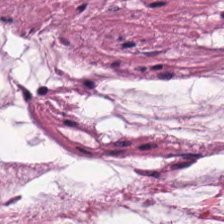224×224 pixel tile · H&E-stained tissue section — Q: Classify this patch.
A: This is mucin.
